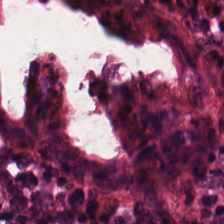H&E stain.
Showing non-neoplastic colon mucosa.
